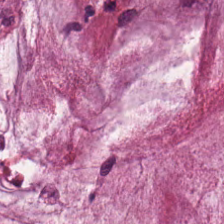H&E stain. The predominant tissue is mucin.
